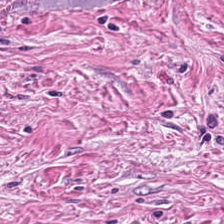224×224 px patch. H&E.
The tissue here is tumor-associated stroma.
